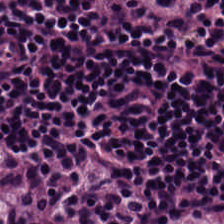FFPE. Hematoxylin-and-eosin stained section. 20× equivalent magnification.
Predominant tissue — lymphocyte aggregate.
